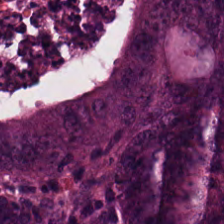The predominant tissue is adenocarcinoma.
